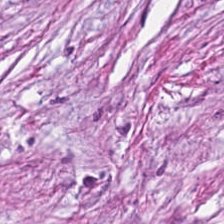H&E stain. Q: What is shown in this field?
A: This is desmoplastic stroma.
